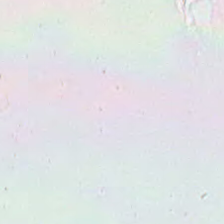{"content": "background"}
